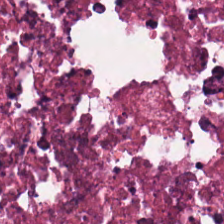H&E-stained tissue section — The tissue class is cellular debris.
